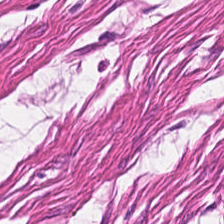Hematoxylin-and-eosin stained section. Muscularis.
